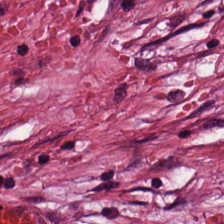Stain: hematoxylin and eosin.
Tissue: cancer-associated stroma.
